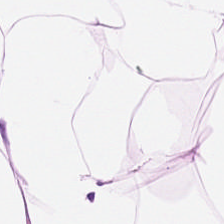H&E; 224×224 px patch; WSI patch — Impression → fat tissue.
